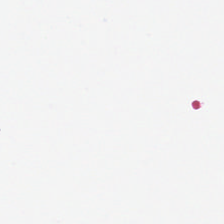Hematoxylin-and-eosin stained section; whole-slide-image patch. Field content = empty background.
